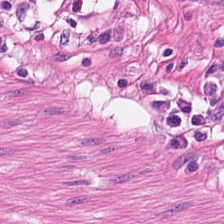Hematoxylin and eosin · FFPE · 0.5 µm per pixel.
The predominant tissue is smooth-muscle tissue.
